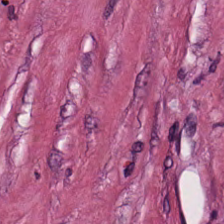H&E — The predominant tissue is cancer-associated stroma.
